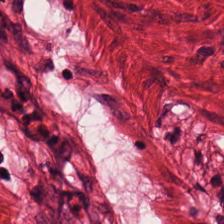Stain: hematoxylin and eosin.
Predominant tissue: smooth muscle.
